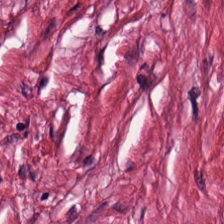0.5 µm/px. 224×224 pixel tile. Hematoxylin and eosin.
This field is tumor stroma.
